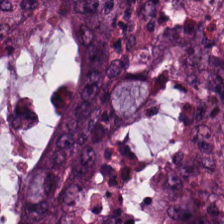This field is tumor epithelium.
